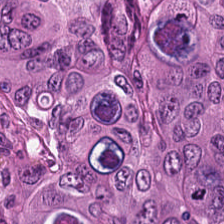0.5 µm per pixel. H&E stain.
Predominant tissue = adenocarcinoma.
